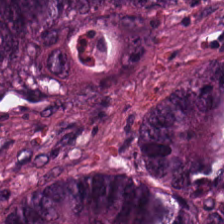H&E-stained tissue section. The tissue here is colorectal adenocarcinoma epithelium.
